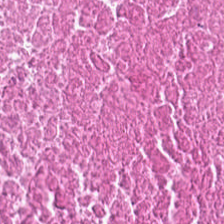H&E stain — {"tissue_type": "cellular debris"}
